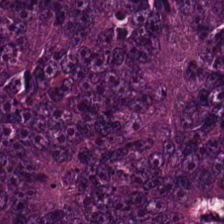0.5 µm per pixel. Hematoxylin-and-eosin stained section. Tissue type: tumor epithelium.
